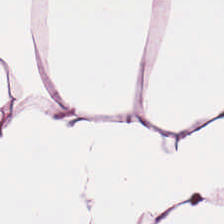0.5 µm/px; H&E stain; brightfield.
{"tissue_type": "adipose"}
